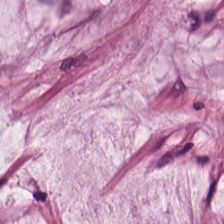Hematoxylin-and-eosin stained section — Mucin.
